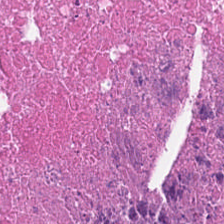H&E stain · 0.5 µm per pixel.
This patch shows debris.
